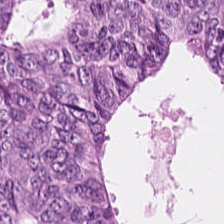0.5 microns per pixel; 224×224 px patch; H&E.
Predominantly adenocarcinoma.
